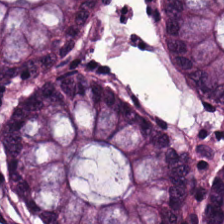224×224 px patch. H&E stain. Brightfield.
Predominantly normal colon mucosa.
